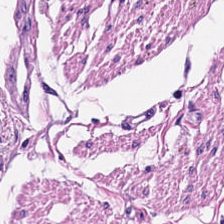Q: What is the predominant tissue type?
A: The field shows smooth-muscle tissue.
